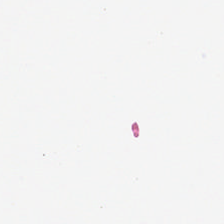Hematoxylin and eosin. This patch shows background (no tissue).
